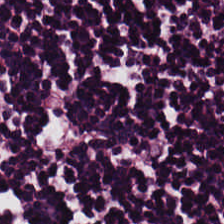Hematoxylin-and-eosin stained section.
This field is lymphocytic infiltrate.
